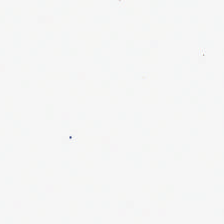0.5 µm per pixel. Hematoxylin-and-eosin stained section. 224×224 pixel tile. Background.
